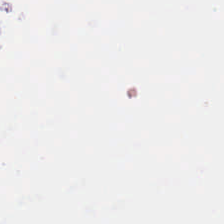Hematoxylin and eosin. This field is background (no tissue).
